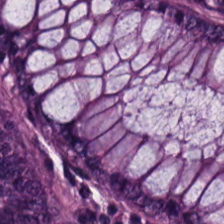Stain: H&E.
Resolution: 0.5 microns per pixel.
Predominant tissue: normal colonic mucosa.
